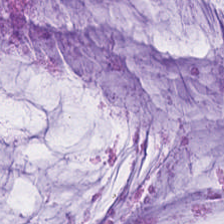224×224 pixel tile · hematoxylin and eosin. This field is extracellular mucin.
